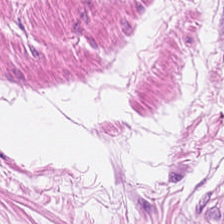This patch shows smooth muscle.
